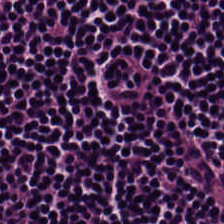Brightfield. H&E stain. 20× equivalent magnification.
Q: Classify this patch.
A: This is lymphocyte aggregate.
